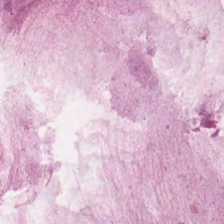H&E stain. Histology — mucin.
